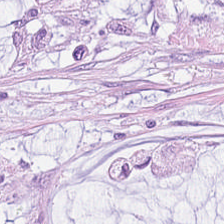H&E-stained section; the field shows extracellular mucin.
